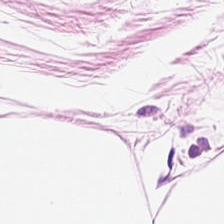Hematoxylin and eosin · 0.5 µm/px — Classification: adipose.
